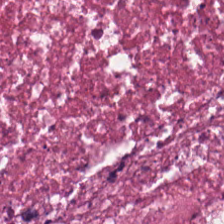Tissue class — debris.
